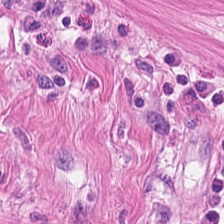H&E stain · 0.5 microns per pixel — Finding — muscularis.
